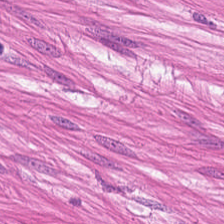This field is smooth muscle.
